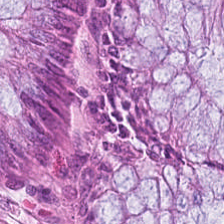224×224 px tile. 0.5 µm per pixel. H&E-stained tissue section. The predominant tissue is non-neoplastic colon mucosa.
